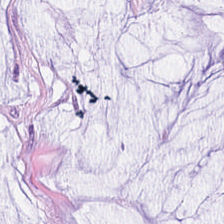H&E stain. Q: What is the predominant tissue type?
A: The field shows mucin.
